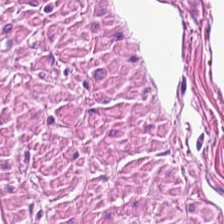H&E. FFPE tissue section. {"tissue_type": "smooth-muscle tissue"}
